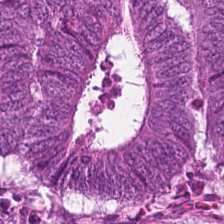224×224 pixel tile. H&E. The tissue here is malignant epithelium.
